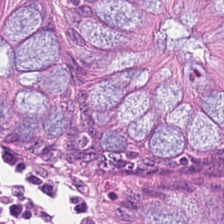Hematoxylin and eosin.
The tissue here is normal colonic mucosa.
